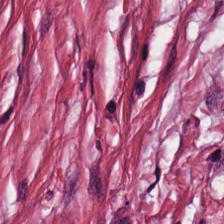Stain: hematoxylin-and-eosin stained section.
Preparation: FFPE tissue section.
Predominant tissue: tumor-associated stroma.
